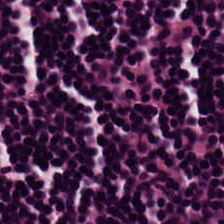Stain: hematoxylin-and-eosin stained section.
Tile size: 224×224 px patch.
Predominant tissue: lymphocytes.
